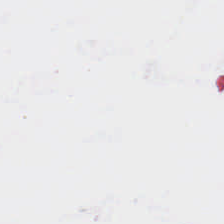H&E · 224×224 px tile · brightfield microscopy. No tissue present; background only.
